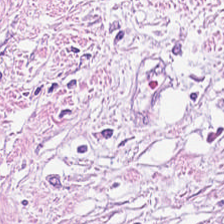Hematoxylin-and-eosin stained section. Q: Classify this patch.
A: This is tumor-associated stroma.
